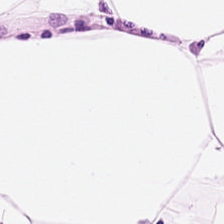H&E-stained tissue section.
Predominantly fat tissue.
